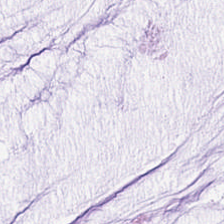H&E-stained tissue section — Q: What type of tissue is this?
A: The field shows extracellular mucin.
